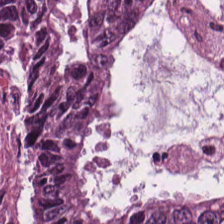Hematoxylin and eosin — Tissue class = malignant epithelium.
